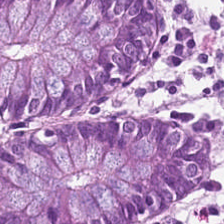224×224 pixel tile · H&E stain — {"tissue_type": "benign colonic mucosa"}
